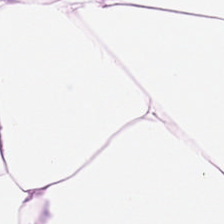Stain: hematoxylin-and-eosin stained section.
Classification: adipose.
